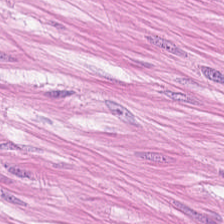H&E stain. Brightfield microscopy. Tissue class — smooth-muscle tissue.
